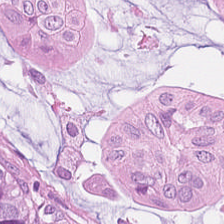Tissue: tumor epithelium.
